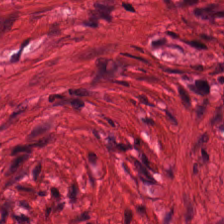20× equivalent magnification; H&E stain.
{"tissue_type": "smooth-muscle tissue"}
